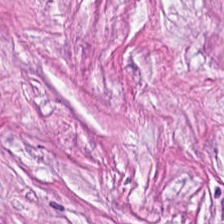Desmoplastic stroma.
